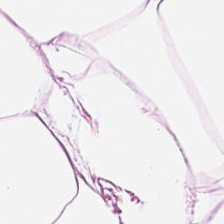Adipose.
